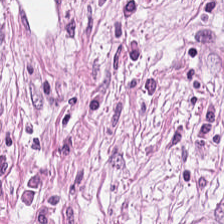Brightfield microscopy. Hematoxylin-and-eosin stained section. Q: What is shown here?
A: It is desmoplastic stroma.
